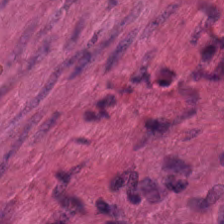Stain: H&E-stained tissue section.
Tissue class: smooth muscle.
